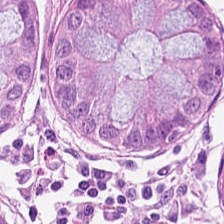H&E. WSI patch. Q: What type of tissue is this?
A: The field shows normal colon mucosa.
